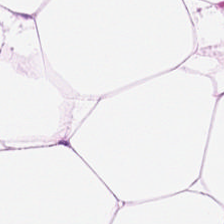H&E stain.
Fat tissue.
